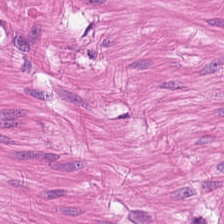Brightfield. H&E-stained tissue section — The predominant tissue is muscularis.
